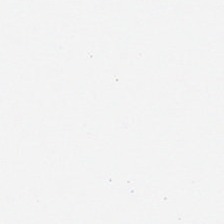Brightfield · H&E-stained tissue section. Content — empty background.
